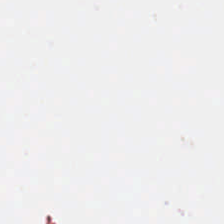H&E stain — Q: Classify this patch.
A: Empty background.
